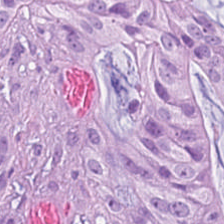Hematoxylin-and-eosin stained section; 0.5 microns per pixel.
Predominant tissue = malignant epithelium.
